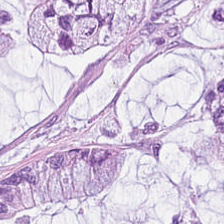H&E — {"tissue_type": "mucus"}
